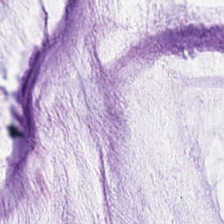224×224 px tile; H&E-stained tissue section. Predominantly extracellular mucin.
